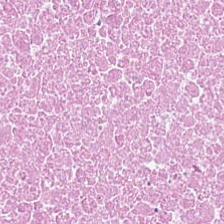Q: Identify the tissue.
A: This is debris.
